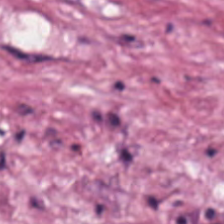Hematoxylin-and-eosin stained section · brightfield microscopy · 20× equivalent magnification. Tissue type = tumor-associated stroma.
